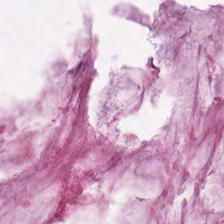Stain: hematoxylin-and-eosin stained section.
Resolution: 0.5 µm/px.
Tissue type: extracellular mucin.
